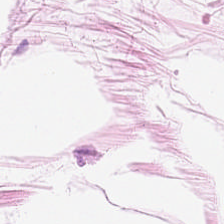H&E — adipose tissue.
